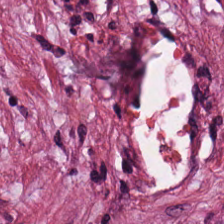224×224 pixel tile · H&E-stained tissue section · WSI patch.
Tissue class = tumor-associated stroma.
